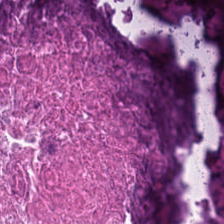Hematoxylin and eosin.
Debris.
